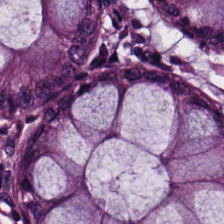Predominant tissue = benign colonic mucosa.
